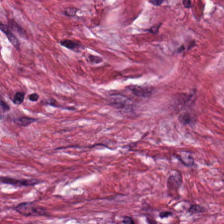H&E stain. Showing tumor stroma.
